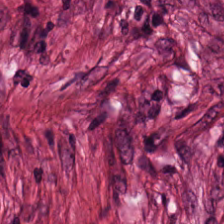FFPE tissue section. H&E-stained tissue section.
Predominantly tumor stroma.
